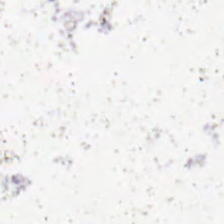H&E stain · formalin-fixed paraffin-embedded section. Field content — no tissue.
